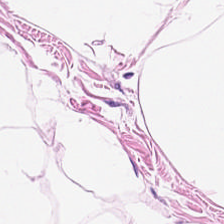H&E stain. This field is adipose tissue.
